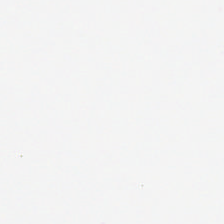H&E-stained tissue section — {"content": "background (no tissue)"}
